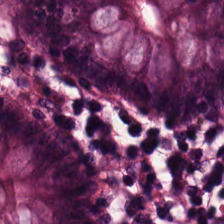224×224 px tile; hematoxylin and eosin. Tissue — non-neoplastic colon mucosa.
